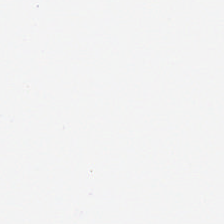Hematoxylin and eosin.
Finding — empty background.
